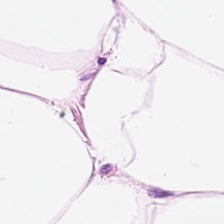H&E-stained tissue section.
Classification = fat tissue.
